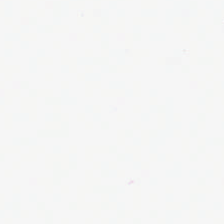Q: What does this patch show?
A: This is background (no tissue).
